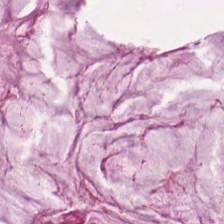Showing extracellular mucin.
